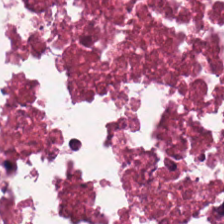WSI patch. Hematoxylin-and-eosin stained section. 224×224 px tile.
The tissue is debris.
